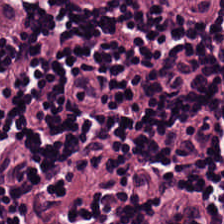H&E. Histology — lymphocyte aggregate.
